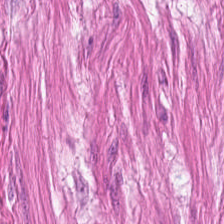Hematoxylin-and-eosin stained section. 0.5 µm per pixel. FFPE tissue section. Tissue type — smooth-muscle tissue.
